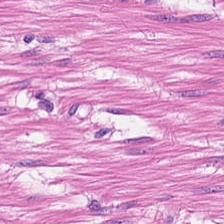H&E-stained tissue section.
This field is smooth muscle.
